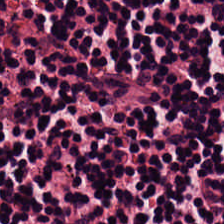Hematoxylin-and-eosin stained section; 0.5 microns per pixel.
Tissue = lymphocytes.
